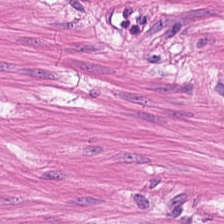H&E stain; 224×224 px patch.
Finding — smooth-muscle tissue.
